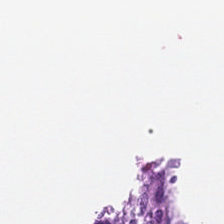Content: no tissue.
